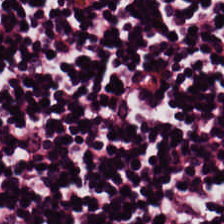Q: Identify the tissue.
A: It is lymphocytes.
